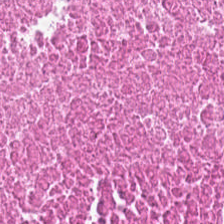Stain: hematoxylin and eosin.
Tissue class: debris.
